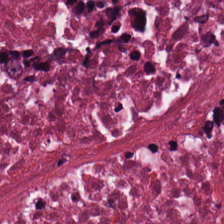H&E-stained tissue section; FFPE; brightfield.
Predominantly cellular debris.
